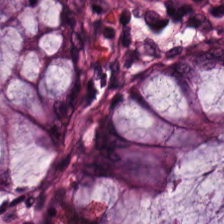Hematoxylin-and-eosin stained section — Tissue class: normal colonic mucosa.
